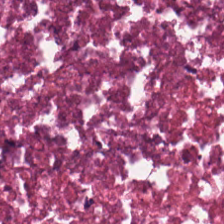H&E-stained tissue section; 224×224 px patch. This patch shows cellular debris.
